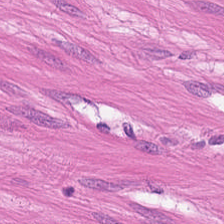H&E stain.
Q: What tissue is shown?
A: Smooth-muscle tissue.
